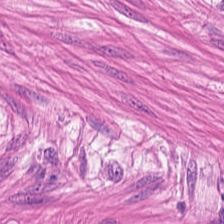H&E stain. The tissue here is smooth muscle.
